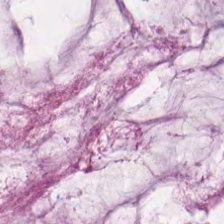Hematoxylin and eosin — This patch shows extracellular mucin.
